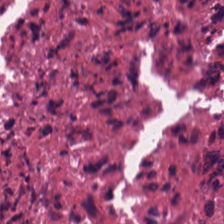Whole-slide-image patch; hematoxylin-and-eosin stained section. The predominant tissue is cellular debris.
